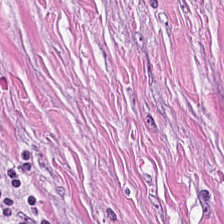Hematoxylin and eosin.
{"tissue_type": "cancer-associated stroma"}
